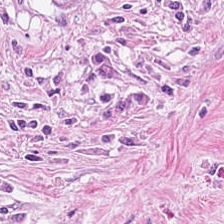H&E-stained tissue section · brightfield microscopy. Tumor stroma.
